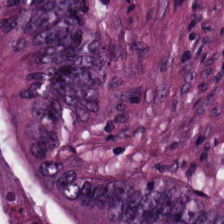The tissue is tumor epithelium.
